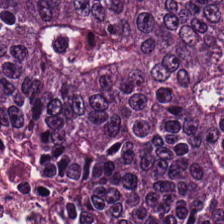Q: What tissue is shown?
A: Colorectal adenocarcinoma epithelium.
